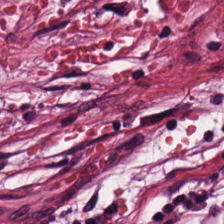Hematoxylin-and-eosin stained section — {"tissue_type": "tumor stroma"}
